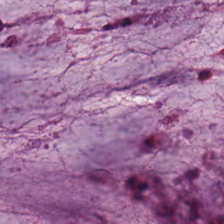0.5 µm/px. H&E. Q: What type of tissue is this?
A: This is mucin.
